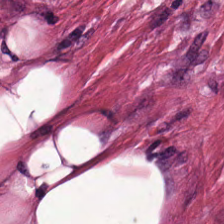H&E-stained section; the field shows tumor-associated stroma.
